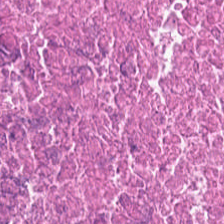224×224 px patch · 0.5 microns per pixel · H&E.
This field is necrotic debris.
